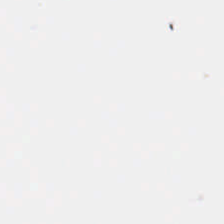H&E — Background — no tissue in this field.
